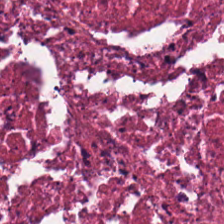H&E-stained tissue section.
Predominantly debris.
